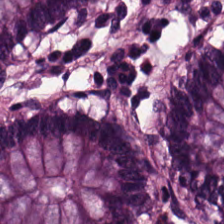Q: What is shown here?
A: Benign colonic mucosa.
